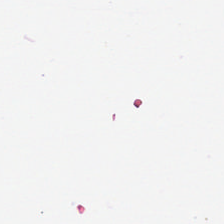Content: background.
